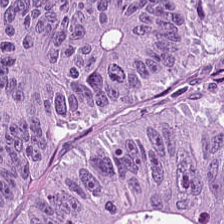Hematoxylin and eosin — Impression — colorectal adenocarcinoma epithelium.
